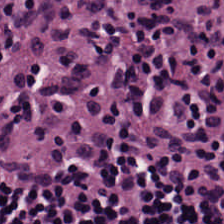FFPE tissue section; H&E stain — Q: What tissue type is shown here?
A: This is lymphoid infiltrate.
